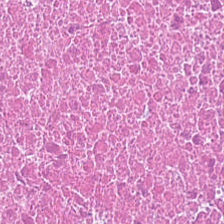H&E — necrotic debris.
